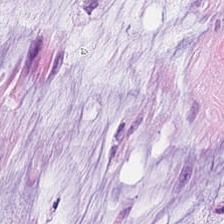224×224 px patch. H&E. FFPE. {"tissue_type": "extracellular mucin"}
